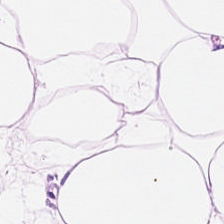Hematoxylin-and-eosin stained section. 0.5 µm per pixel. Tissue type: adipose tissue.
